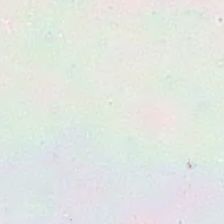Background — no tissue in this field.
